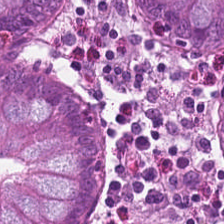H&E-stained tissue section; 224×224 px tile.
Showing normal colon mucosa.
